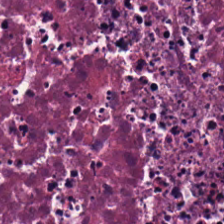Stain: H&E.
Preparation: FFPE.
Resolution: 0.5 microns per pixel.
Tissue: necrotic debris.
